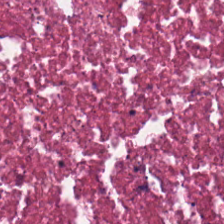Hematoxylin and eosin. Tissue type: debris.
